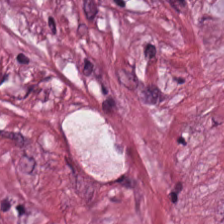Hematoxylin and eosin. Showing tumor stroma.
